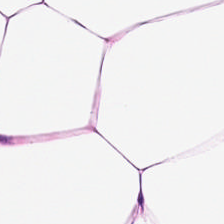Hematoxylin and eosin — This field is fat tissue.
